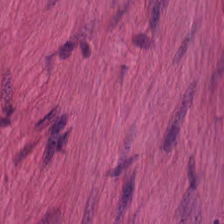H&E patch showing smooth muscle.
